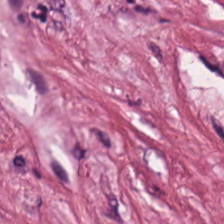H&E. FFPE. WSI patch — Q: What is shown in this field?
A: The field shows cancer-associated stroma.
